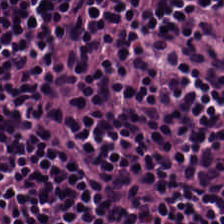Stain: H&E-stained tissue section.
Predominant tissue: lymphocytes.
